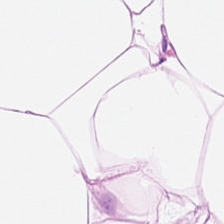H&E. 0.5 microns per pixel. Whole-slide-image patch.
The tissue here is adipose.
